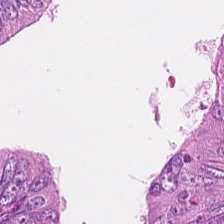Hematoxylin-and-eosin stained section. This patch shows adenocarcinoma.
